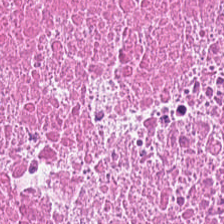The predominant tissue is cellular debris.
